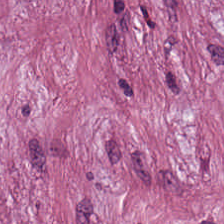Hematoxylin and eosin — Q: Classify this patch.
A: It is tumor-associated stroma.
